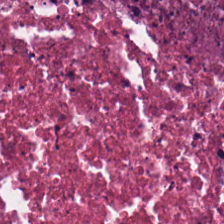Hematoxylin and eosin; 224×224 px patch — Q: Classify this patch.
A: It is necrotic debris.
